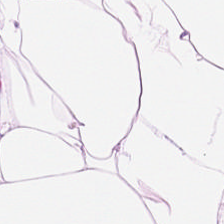Stain: hematoxylin and eosin.
Tissue type: fat tissue.
